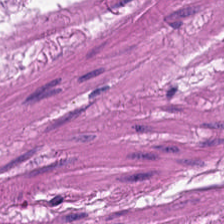Whole-slide-image patch; H&E.
The predominant tissue is smooth muscle.
